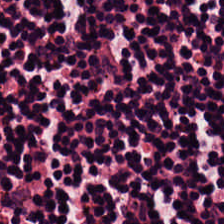H&E stain.
This patch shows lymphocyte aggregate.
